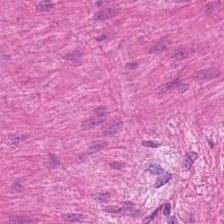224×224 px patch. 0.5 µm per pixel. H&E stain — Q: Identify the tissue.
A: This is smooth muscle.
